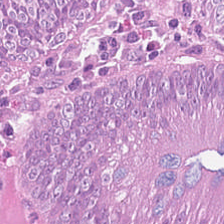H&E. Classification = malignant epithelium.
